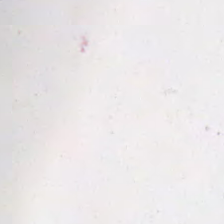This patch shows empty background.
